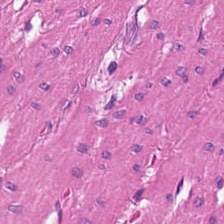Stain: H&E-stained tissue section.
Classification: smooth muscle.
